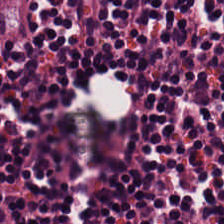Hematoxylin and eosin — The predominant tissue is lymphocytic infiltrate.
